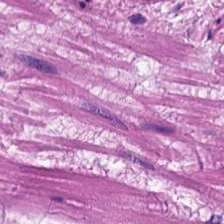H&E stain.
Tissue = smooth muscle.
